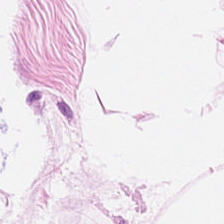224×224 px tile; H&E stain. This patch shows adipose tissue.
